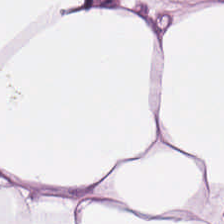Whole-slide-image patch. Hematoxylin and eosin. 224×224 pixel tile. Fat tissue.
